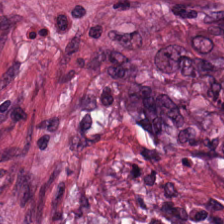H&E-stained tissue section. Impression — tumor stroma.
